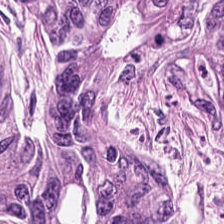Hematoxylin and eosin. Predominantly adenocarcinoma.
